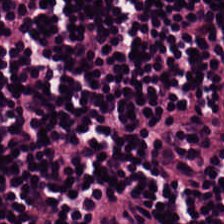0.5 microns per pixel. FFPE tissue section. H&E stain.
Lymphocytes.
